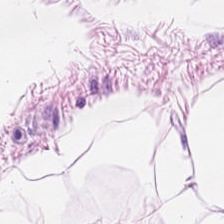Q: What is shown in this field?
A: This is adipose tissue.
